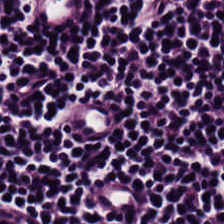{"tissue_type": "lymphocytes"}
